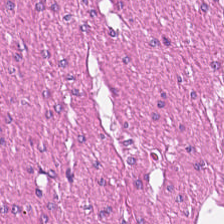Stain: H&E stain.
Tile size: 224×224 px patch.
Tissue: smooth muscle.
